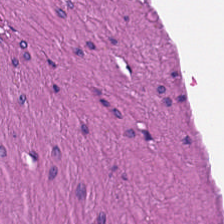Tissue — smooth-muscle tissue.
